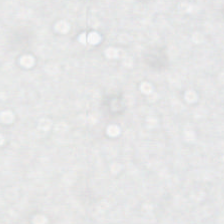Hematoxylin-and-eosin stained section · 224×224 px patch. Impression → background (no tissue).
